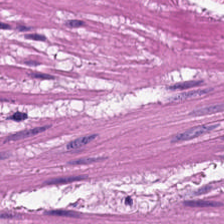H&E. 0.5 µm per pixel — Tissue type — smooth muscle.
